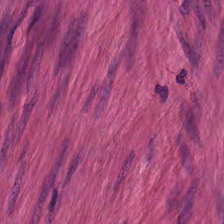Tissue: smooth muscle.
